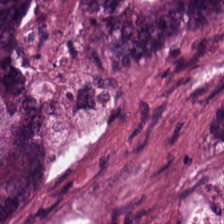H&E. Impression — colorectal adenocarcinoma.
